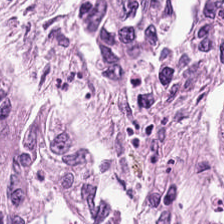224×224 pixel tile. FFPE. H&E-stained tissue section — The predominant tissue is malignant epithelium.
